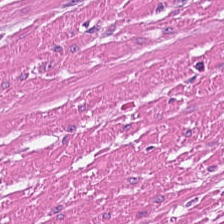Impression — muscularis.
